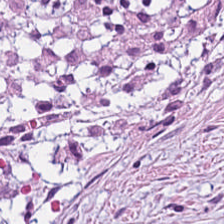Predominant tissue: tumor stroma.
